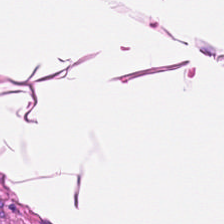Hematoxylin-and-eosin stained section.
Smooth-muscle tissue.
